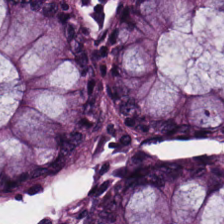Hematoxylin-and-eosin stained section — This field is non-neoplastic colon mucosa.
